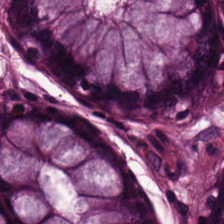Hematoxylin-and-eosin stained section · FFPE — This field is non-neoplastic colon mucosa.
